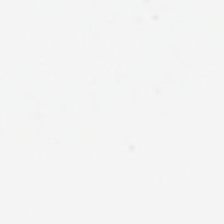H&E stain. Formalin-fixed paraffin-embedded section. No tissue.
